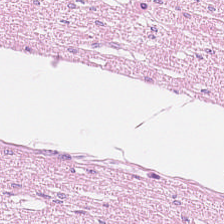Hematoxylin-and-eosin stained section. This patch shows smooth muscle.
